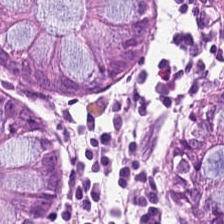Q: What is shown here?
A: This is normal colon mucosa.
